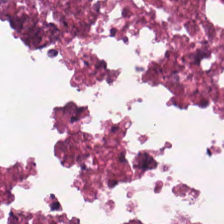Predominantly necrotic debris.
